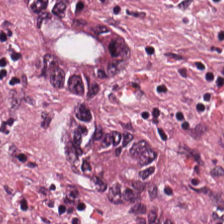Hematoxylin-and-eosin stained section · FFPE tissue section.
Tumor epithelium.
